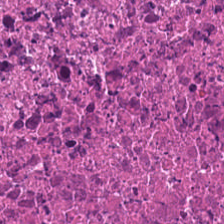The tissue here is cellular debris.
